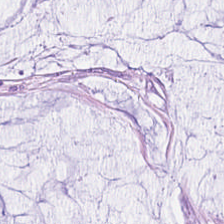Hematoxylin and eosin. WSI patch. 224×224 pixel tile. The tissue here is mucus.
